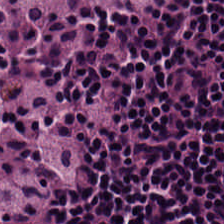Hematoxylin-and-eosin stained section. This field is lymphoid infiltrate.
